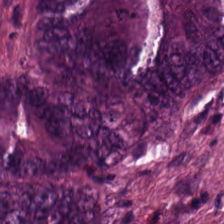H&E; 0.5 µm per pixel; 224×224 px patch. The tissue here is adenocarcinoma.
